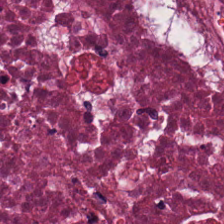{"tissue_type": "debris"}
